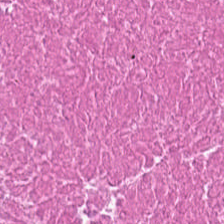H&E — debris.
